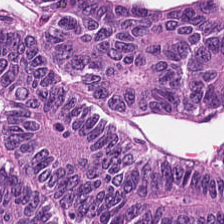Finding — colorectal adenocarcinoma epithelium.
